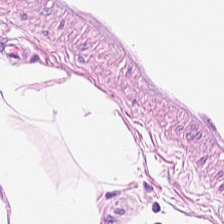Whole-slide-image patch. H&E. This patch shows adipose.
